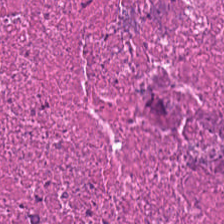H&E-stained tissue section; 0.5 µm/px.
This patch shows debris.
